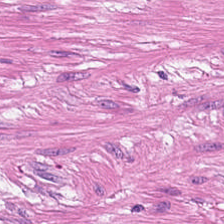Hematoxylin-and-eosin stained section — Classification: smooth-muscle tissue.
